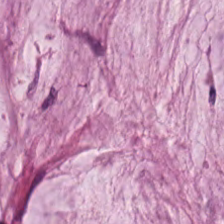FFPE. Hematoxylin-and-eosin stained section. 20× equivalent magnification. The tissue type is mucin.
